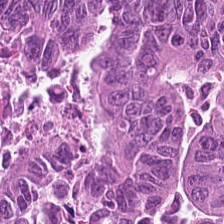Hematoxylin and eosin.
Q: What type of tissue is this?
A: The field shows malignant epithelium.
